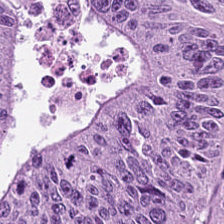H&E — Tissue type: adenocarcinoma.
